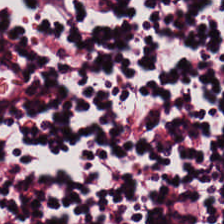Hematoxylin and eosin. 0.5 microns per pixel. 224×224 px tile. The classification is lymphocytic infiltrate.
